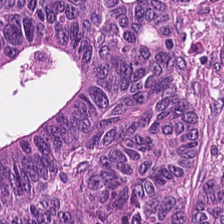H&E stain; 0.5 µm/px. {"tissue_type": "colorectal adenocarcinoma epithelium"}
